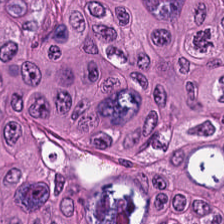Formalin-fixed paraffin-embedded section. H&E. 20× equivalent magnification. {"tissue_type": "colorectal adenocarcinoma epithelium"}
